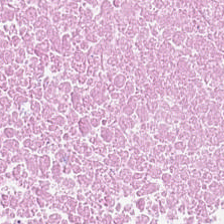The tissue class is debris.
